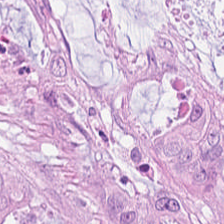Hematoxylin-and-eosin stained section.
This field is tumor epithelium.
